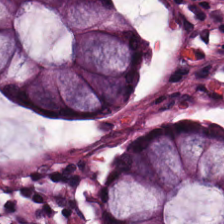Showing normal colonic mucosa.
